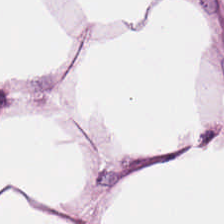Stain: H&E.
Classification: fat tissue.
